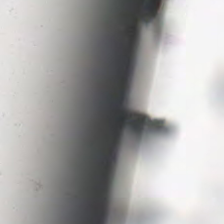Hematoxylin-and-eosin stained section — This patch shows background (no tissue).
